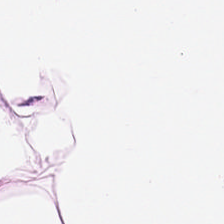H&E-stained section; the field shows adipose.
